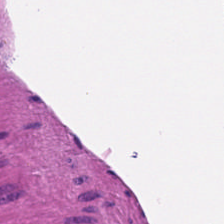Hematoxylin-and-eosin stained section · 0.5 microns per pixel · whole-slide-image patch — The tissue here is muscularis.
